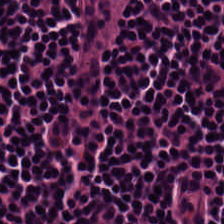H&E stain.
Q: Identify the tissue.
A: The field shows lymphoid infiltrate.
